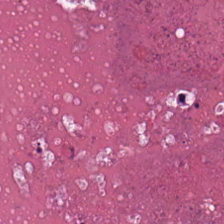Whole-slide-image patch. H&E-stained tissue section.
Debris.
